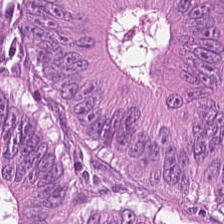0.5 µm per pixel; H&E stain. Showing colorectal adenocarcinoma.
